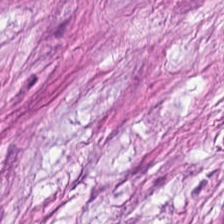Impression → tumor stroma.
